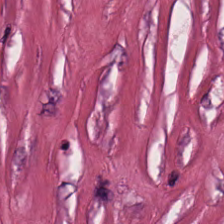Stain: hematoxylin-and-eosin stained section.
Acquisition: brightfield microscopy.
Preparation: formalin-fixed paraffin-embedded section.
Classification: desmoplastic stroma.
